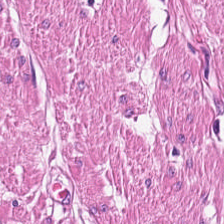Hematoxylin-and-eosin section: smooth muscle.
